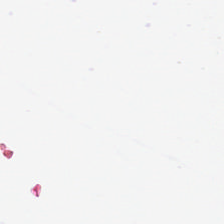H&E-stained tissue section — {"content": "no tissue"}
